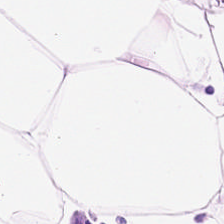WSI patch. H&E-stained tissue section. Impression → fat tissue.
